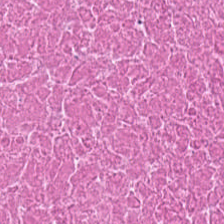Stain: H&E stain.
Resolution: 0.5 µm per pixel.
Predominant tissue: necrotic debris.
